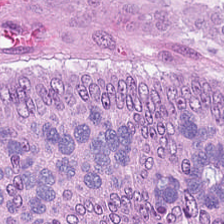Stain: H&E stain.
Predominant tissue: adenocarcinoma.
